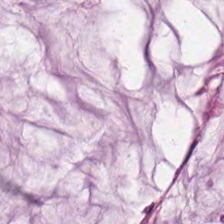H&E patch showing extracellular mucin.
